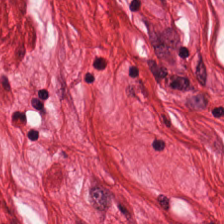Hematoxylin-and-eosin stained section.
Finding — smooth-muscle tissue.
